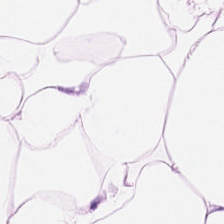Histology → adipose tissue.
